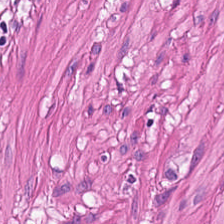H&E stain. Predominantly smooth-muscle tissue.
